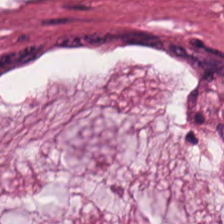Impression — extracellular mucin.
